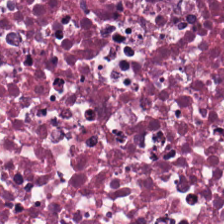Stain: H&E.
Predominant tissue: necrotic debris.
